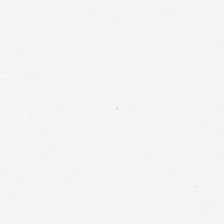H&E-stained tissue section. 224×224 px tile — The classification is background (no tissue).
